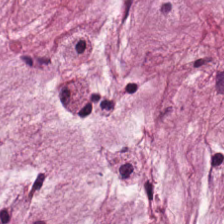H&E stain. 0.5 microns per pixel. The tissue here is mucus.
